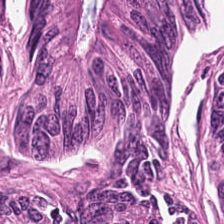H&E · 224×224 px patch. Predominant tissue = tumor epithelium.
